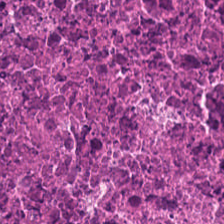Predominant tissue — necrotic debris.
